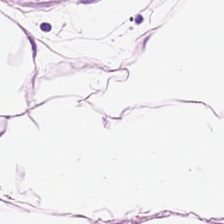Hematoxylin and eosin. FFPE tissue section. 224×224 pixel tile. Finding → fat tissue.
